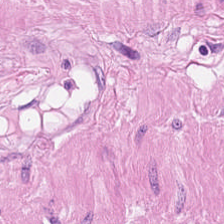224×224 pixel tile · hematoxylin-and-eosin stained section — Q: What is shown here?
A: This is smooth muscle.
